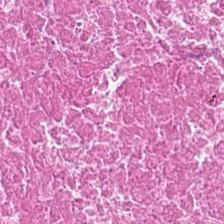Q: What type of tissue is this?
A: It is cellular debris.
